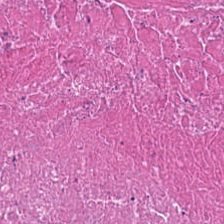H&E — Showing debris.
